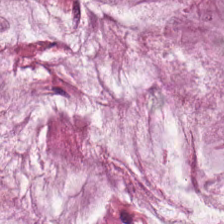Stain: H&E-stained tissue section.
Classification: mucin.
